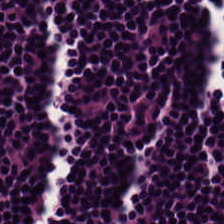20× equivalent magnification · H&E — Tissue type: lymphoid infiltrate.
